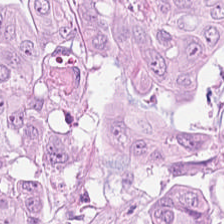H&E-stained tissue section — Predominantly tumor epithelium.
